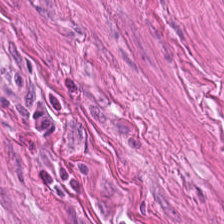Hematoxylin-and-eosin stained section — Tissue — muscularis.
